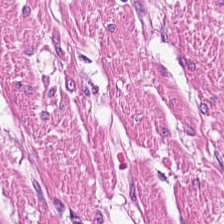Whole-slide-image patch; FFPE tissue section; hematoxylin-and-eosin stained section. Tissue type — smooth-muscle tissue.
